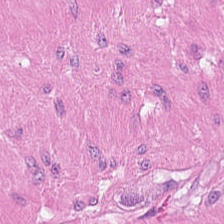H&E-stained tissue section. 224×224 px tile. {"tissue_type": "smooth muscle"}
